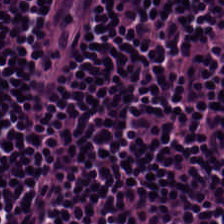Brightfield; 224×224 px patch; H&E. {"tissue_type": "lymphocytic infiltrate"}
